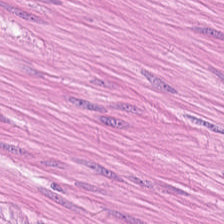Hematoxylin-and-eosin stained section. FFPE. The predominant tissue is muscularis.
